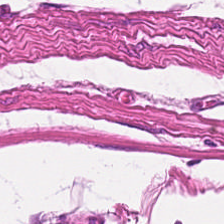Stain: H&E stain.
Tissue type: muscularis.
